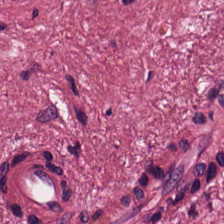H&E-stained tissue section. Tissue class: tumor stroma.
